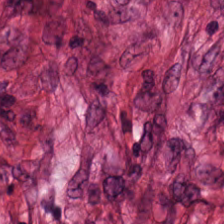224×224 px tile · hematoxylin-and-eosin stained section — Q: What type of tissue is this?
A: Tumor stroma.
